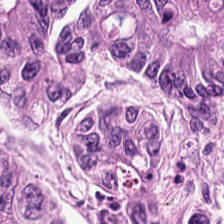H&E-stained tissue section; 224×224 px patch. This field is tumor epithelium.
